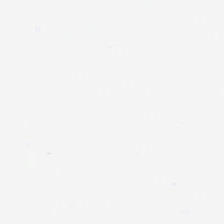H&E-stained tissue section. Brightfield microscopy — Finding → background (no tissue).
